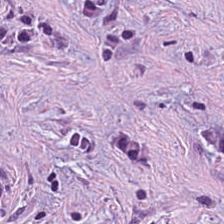Impression — tumor stroma.
